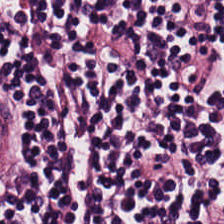Hematoxylin-and-eosin stained section. Finding — lymphocytes.
